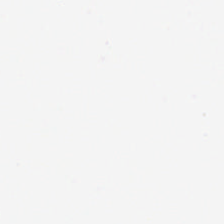Hematoxylin and eosin; 224×224 px patch — Background.
